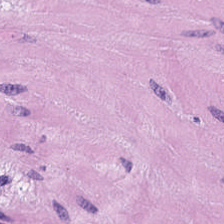Hematoxylin-and-eosin stained section. Muscularis.
